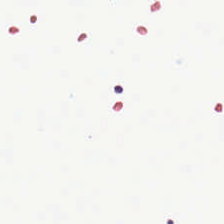Background (no tissue).
